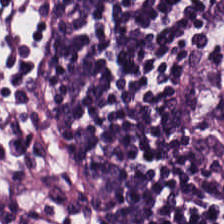Q: What tissue is shown?
A: Lymphocytic infiltrate.
